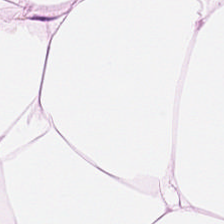Tissue class = fat tissue.
